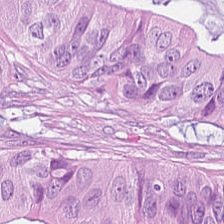H&E — Showing colorectal adenocarcinoma epithelium.
